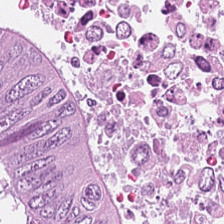H&E stain. The tissue class is adenocarcinoma.
